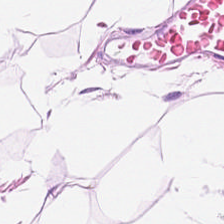Q: What does this patch show?
A: Fat tissue.
